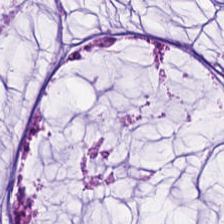20× equivalent magnification · 224×224 px tile · H&E — Classification = mucin.
